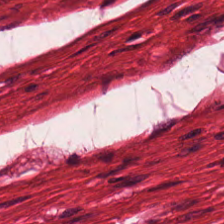H&E stain. WSI patch. FFPE.
Impression — smooth-muscle tissue.
